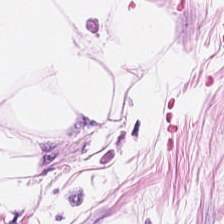FFPE tissue section. H&E-stained tissue section. 224×224 px patch. This patch shows adipocytes.
